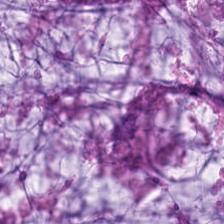Tissue class = extracellular mucin.
